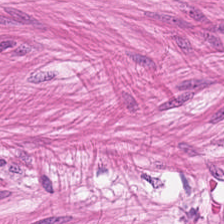Stain: hematoxylin and eosin.
Tissue class: smooth muscle.
